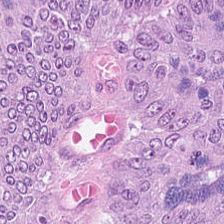Whole-slide-image patch. H&E stain. 0.5 microns per pixel. Tissue class: colorectal adenocarcinoma.
